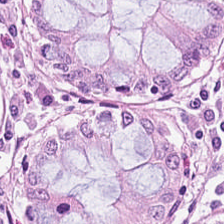Whole-slide-image patch; hematoxylin-and-eosin stained section; FFPE — Q: What is shown here?
A: It is benign colonic mucosa.
